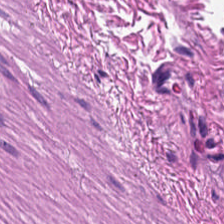H&E stain. This patch shows muscularis.
